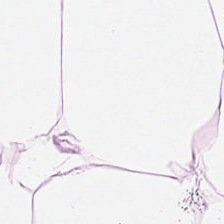Adipose.
